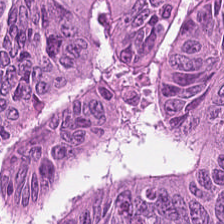H&E — This patch shows tumor epithelium.
